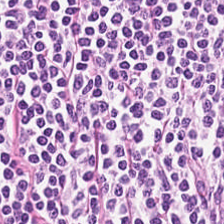Tissue class — lymphocyte aggregate.
